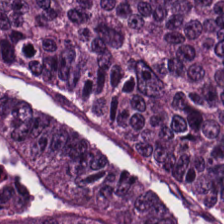H&E stain. This field is tumor epithelium.
